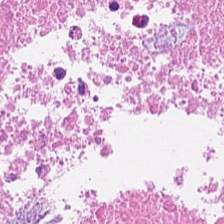Brightfield. H&E — Q: Identify the tissue.
A: This is cellular debris.
